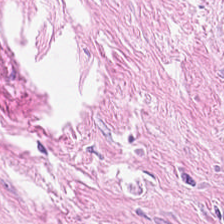H&E-stained tissue section — Predominantly tumor stroma.
